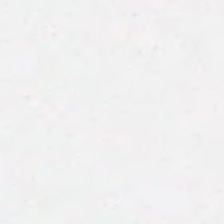Hematoxylin-and-eosin stained section — Histology — empty background.
